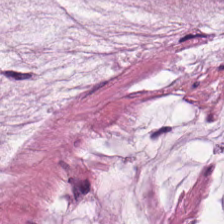H&E stain · 0.5 microns per pixel · 224×224 px patch — Q: What is shown in this field?
A: The field shows mucus.
